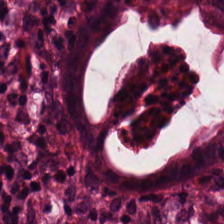H&E stain.
Tissue — non-neoplastic colon mucosa.
